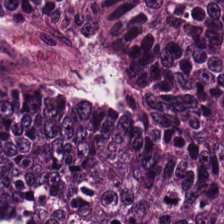Hematoxylin and eosin.
Tissue type = adenocarcinoma.
